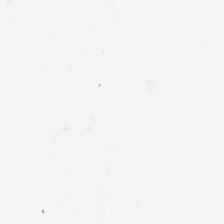Stain: hematoxylin and eosin.
Field content: empty background.
